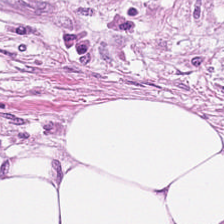Stain: H&E.
Resolution: 20× equivalent magnification.
Tile size: 224×224 px tile.
Tissue type: tumor-associated stroma.
